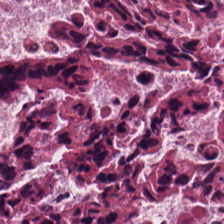Q: Identify the tissue.
A: The field shows cellular debris.
